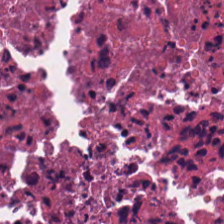Formalin-fixed paraffin-embedded section. H&E-stained tissue section — The tissue here is cellular debris.
